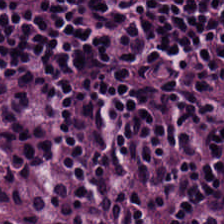Stain: H&E.
Predominant tissue: lymphoid infiltrate.
